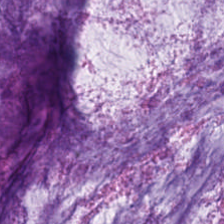H&E — Showing extracellular mucin.
